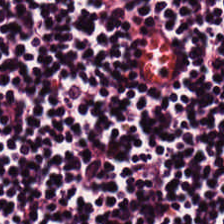Stain: hematoxylin-and-eosin stained section.
Predominant tissue: lymphocyte aggregate.
